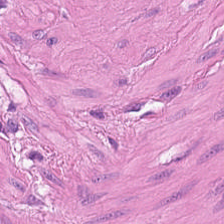Brightfield · hematoxylin and eosin · 224×224 px tile — The tissue class is smooth muscle.
